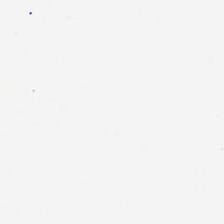H&E stain. FFPE tissue section — {"content": "no tissue"}
